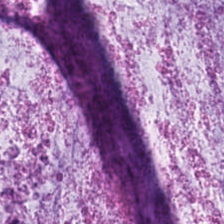H&E-stained tissue section. FFPE. The tissue here is mucus.
